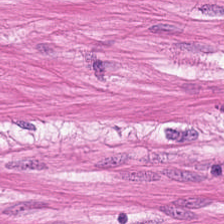H&E.
The predominant tissue is smooth muscle.
